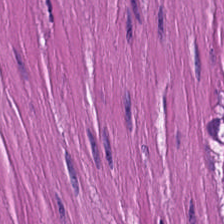This field is smooth muscle.
